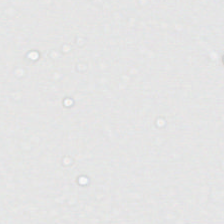H&E. FFPE. 20× equivalent magnification.
Empty field — background.
